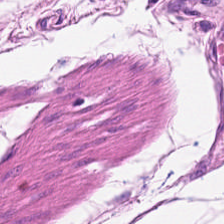Predominant tissue — smooth muscle.
